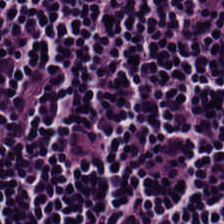H&E. Classification: lymphocyte aggregate.
